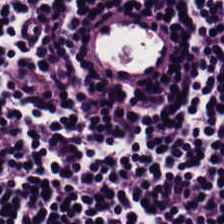H&E patch showing lymphocytes.
